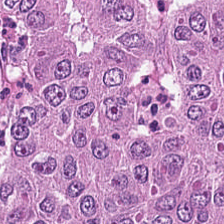{"tissue_type": "tumor epithelium"}
